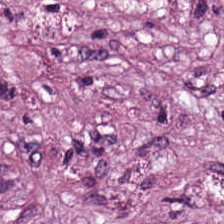0.5 µm per pixel. H&E stain. 224×224 pixel tile — Q: Classify this patch.
A: The field shows cancer-associated stroma.
